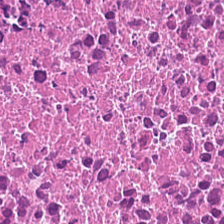Hematoxylin-and-eosin stained section; brightfield — Predominantly cellular debris.
